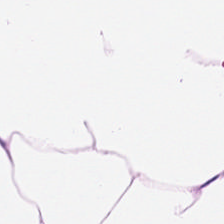0.5 microns per pixel · hematoxylin and eosin.
Tissue class: fat tissue.
